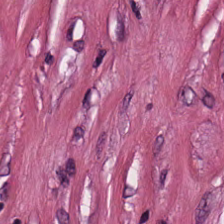Hematoxylin-and-eosin stained section.
Desmoplastic stroma.
